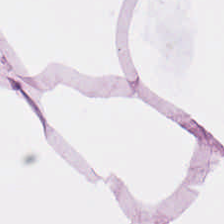Brightfield · H&E · 224×224 pixel tile. This patch shows fat tissue.
